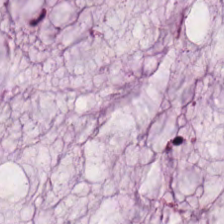H&E. The predominant tissue is mucin.
